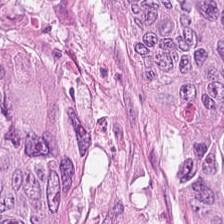Hematoxylin and eosin — Finding → colorectal adenocarcinoma epithelium.
